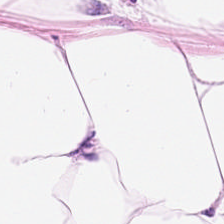Stain: hematoxylin and eosin.
Preparation: formalin-fixed paraffin-embedded section.
Classification: adipose tissue.
